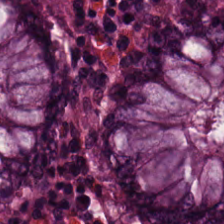Stain: H&E-stained tissue section.
Acquisition: WSI patch.
Classification: normal colonic mucosa.
